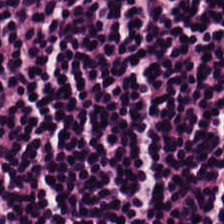H&E — This field is lymphoid infiltrate.
